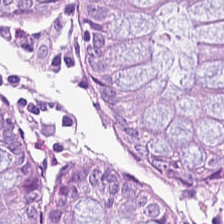Stain: hematoxylin and eosin.
Tissue class: normal colon mucosa.
